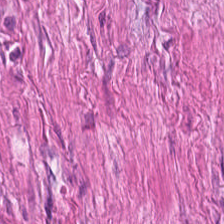0.5 microns per pixel · H&E.
Q: What does this patch show?
A: Muscularis.
